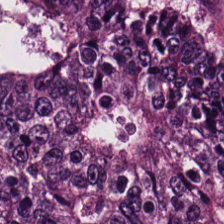{"tissue_type": "adenocarcinoma"}
